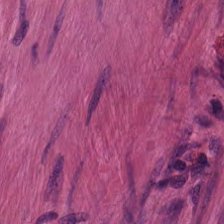Brightfield. Hematoxylin-and-eosin stained section. This field is smooth-muscle tissue.
